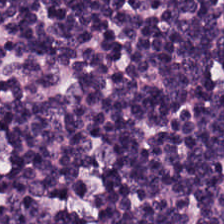224×224 px tile. Brightfield microscopy. H&E-stained tissue section.
Lymphocytes.
